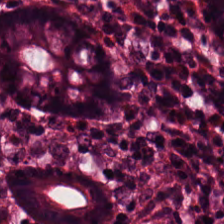The tissue here is normal colonic mucosa.
